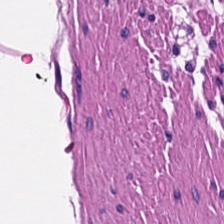WSI patch. Hematoxylin-and-eosin stained section.
Q: What tissue is shown?
A: This is smooth muscle.
